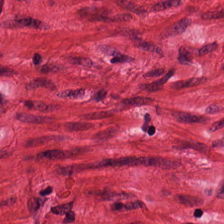Stain: hematoxylin-and-eosin stained section.
Resolution: 0.5 µm per pixel.
Acquisition: WSI patch.
Tissue: muscularis.
